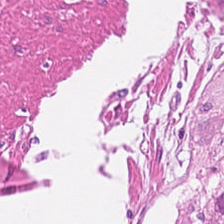224×224 px patch · hematoxylin and eosin.
The predominant tissue is muscularis.
